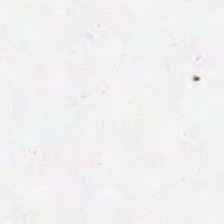H&E-stained tissue section. Whole-slide-image patch. Q: What is shown in this field?
A: The field shows no tissue.
